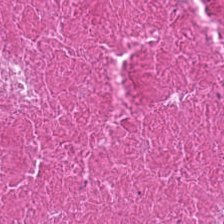H&E stain — Tissue — debris.
